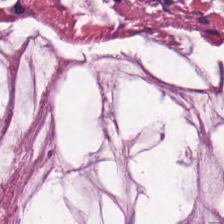Hematoxylin and eosin.
This patch shows mucus.
